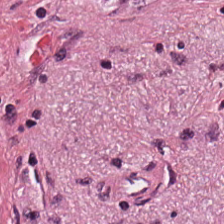Hematoxylin and eosin. Classification: desmoplastic stroma.
